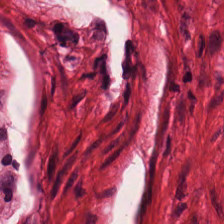Brightfield microscopy. H&E.
{"tissue_type": "smooth muscle"}
